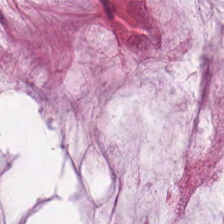Stain: H&E-stained tissue section.
Acquisition: WSI patch.
Resolution: 20× equivalent magnification.
Predominant tissue: mucin.
